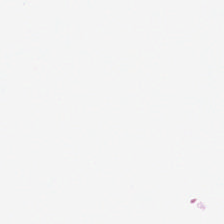Hematoxylin-and-eosin stained section. Background — no tissue in this field.
